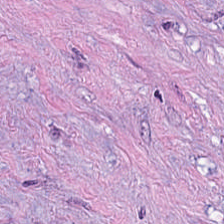H&E-stained tissue section. 0.5 microns per pixel. FFPE tissue section — The predominant tissue is cancer-associated stroma.
